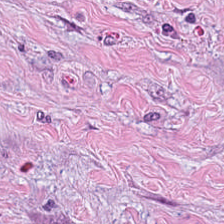Predominant tissue: desmoplastic stroma.
